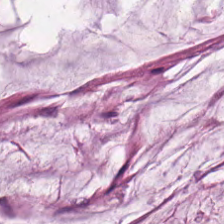Stain: hematoxylin-and-eosin stained section.
Tile size: 224×224 px patch.
Tissue class: mucin.
